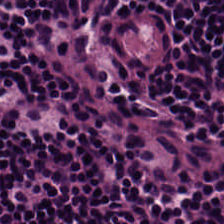WSI patch. FFPE. H&E stain — Impression — lymphocytes.
